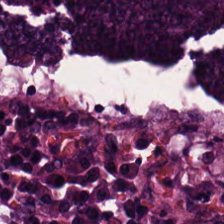Brightfield · H&E · FFPE tissue section.
This field is colorectal adenocarcinoma.
